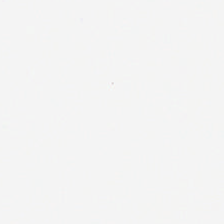Field content = empty background.
